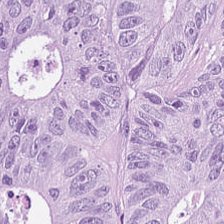H&E-stained tissue section — The predominant tissue is adenocarcinoma.
